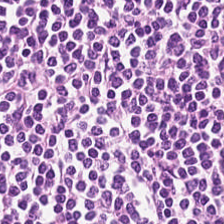H&E — Q: What is shown in this field?
A: It is lymphocytic infiltrate.
